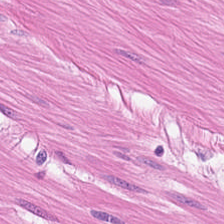224×224 px patch; hematoxylin and eosin; 0.5 microns per pixel. Impression → smooth muscle.
